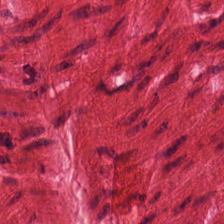Tissue class: smooth muscle.
